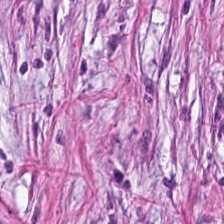0.5 microns per pixel. Hematoxylin and eosin. FFPE tissue section.
Predominantly tumor stroma.
